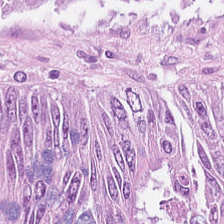Stain: H&E-stained tissue section.
Tissue: colorectal adenocarcinoma.
